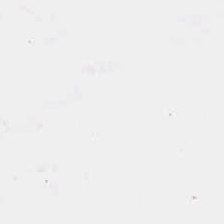Background.
